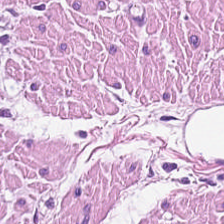Hematoxylin-and-eosin stained section. 224×224 px tile — {"tissue_type": "smooth muscle"}
